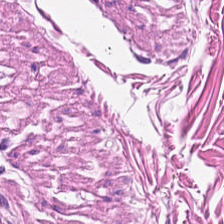WSI patch. H&E stain. 20× equivalent magnification — The predominant tissue is smooth-muscle tissue.
